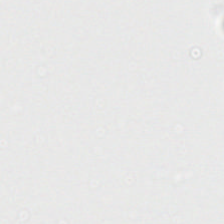H&E. The field content is no tissue.
